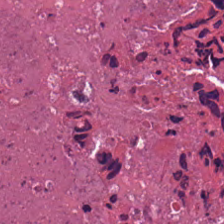0.5 µm per pixel. FFPE tissue section. H&E — Showing debris.
